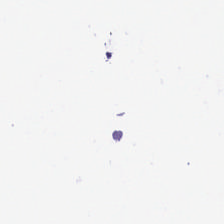{"content": "background"}
